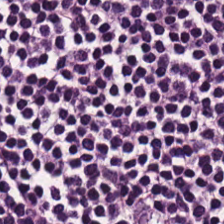Tissue type = lymphocyte aggregate.
